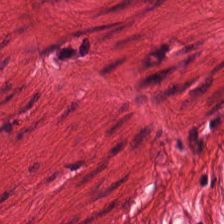Hematoxylin and eosin; brightfield.
This patch shows muscularis.
